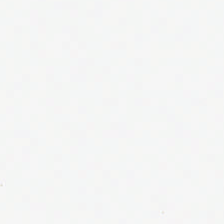Hematoxylin-and-eosin stained section — This field is background (no tissue).
